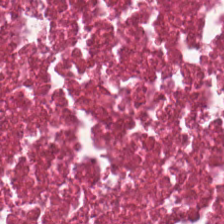0.5 µm per pixel; hematoxylin-and-eosin stained section; 224×224 px patch.
The predominant tissue is necrotic debris.
